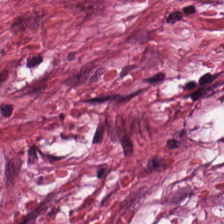Hematoxylin and eosin · 224×224 px tile.
This patch shows desmoplastic stroma.
